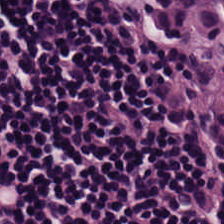Hematoxylin and eosin; 0.5 microns per pixel — Q: What type of tissue is this?
A: The field shows lymphocytic infiltrate.
